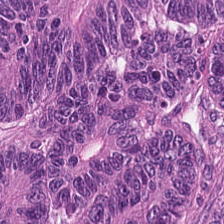Tissue class: colorectal adenocarcinoma.
